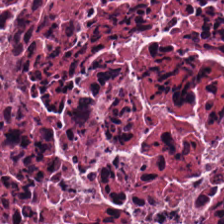FFPE tissue section. H&E. Showing cellular debris.
